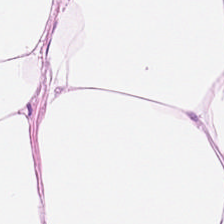H&E stain — Fat tissue.
